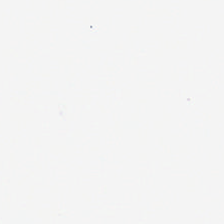Stain: H&E.
Content: no tissue.
